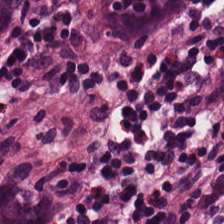H&E stain. FFPE. Tissue type: normal colonic mucosa.
